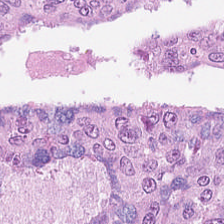H&E-stained tissue section — Q: What is shown here?
A: It is colorectal adenocarcinoma epithelium.
